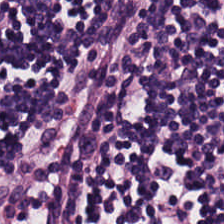WSI patch. H&E.
Q: Classify this patch.
A: The field shows lymphocyte aggregate.
